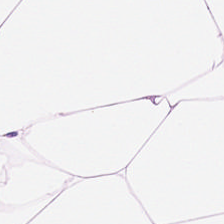Classification = adipose.
